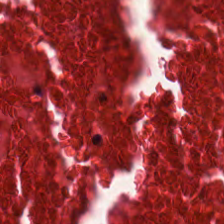Formalin-fixed paraffin-embedded section; hematoxylin and eosin. Q: What does this patch show?
A: This is necrotic debris.
